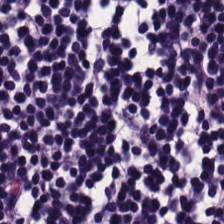H&E-stained tissue section.
Tissue type: lymphocyte aggregate.
